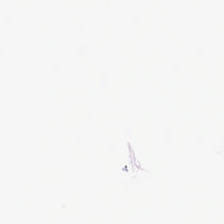H&E-stained tissue section.
Q: Classify this patch.
A: It is empty background.
